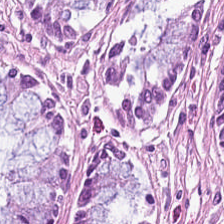H&E stain.
Impression → normal colonic mucosa.
